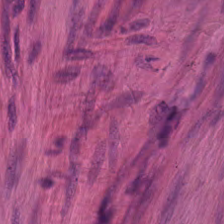Stain: hematoxylin-and-eosin stained section.
Tissue class: muscularis.
